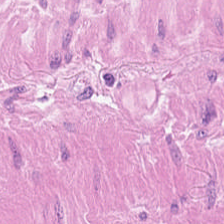H&E stain.
This field is smooth-muscle tissue.
